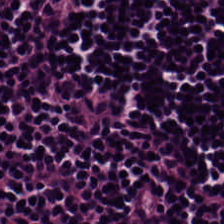Hematoxylin-and-eosin stained section.
Showing lymphocyte aggregate.
